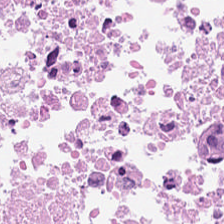H&E-stained tissue section. The predominant tissue is debris.
